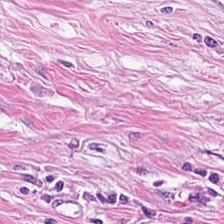Desmoplastic stroma.
